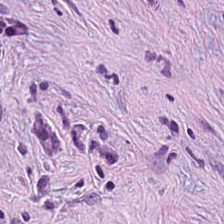224×224 px tile · H&E-stained tissue section — The classification is cancer-associated stroma.
